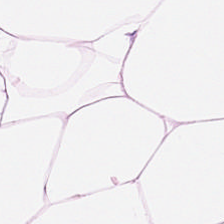H&E-stained tissue section; FFPE tissue section. The tissue is adipose tissue.
